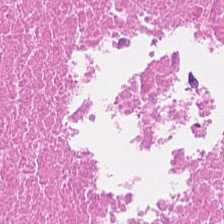H&E. Q: What type of tissue is this?
A: The field shows debris.
